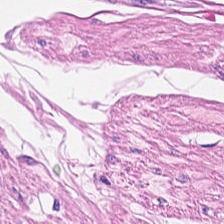Q: What is the predominant tissue type?
A: The field shows muscularis.
